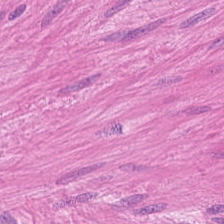Q: What tissue is shown?
A: The field shows muscularis.
